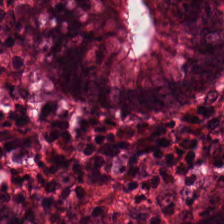224×224 px tile. Hematoxylin and eosin — Q: What does this patch show?
A: This is normal colon mucosa.
